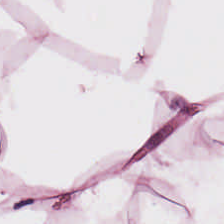H&E — Q: What does this patch show?
A: It is adipocytes.
